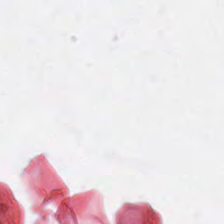Q: What does this patch show?
A: No tissue.
